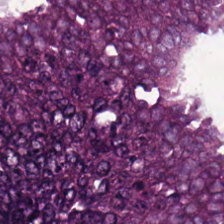Stain: H&E stain.
Tissue class: tumor epithelium.
